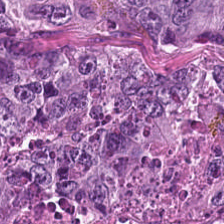Q: What is the predominant tissue type?
A: It is adenocarcinoma.
